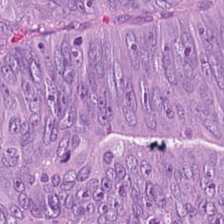H&E; 224×224 px patch. The tissue here is colorectal adenocarcinoma epithelium.
